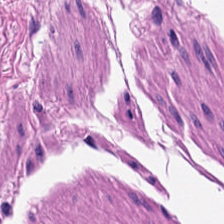Hematoxylin-and-eosin stained section · FFPE — Q: What type of tissue is this?
A: The field shows muscularis.
